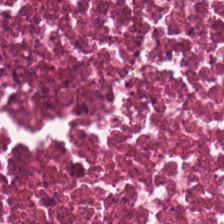Hematoxylin and eosin; 224×224 px patch. Histology → cellular debris.
